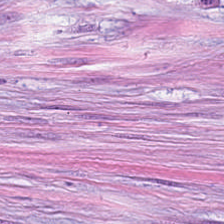Q: What is shown here?
A: Tumor-associated stroma.
